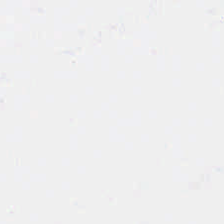Stain: hematoxylin and eosin.
Preparation: FFPE tissue section.
Classification: background.
